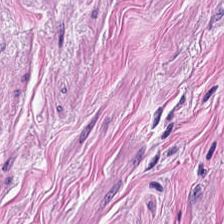H&E.
This patch shows muscularis.
